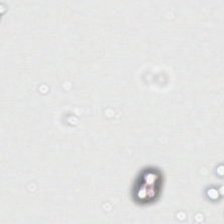Stain: hematoxylin-and-eosin stained section.
Resolution: 0.5 microns per pixel.
Classification: background (no tissue).
